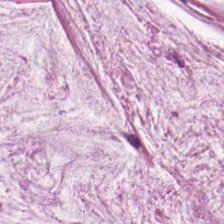Stain: hematoxylin-and-eosin stained section.
Tissue: mucin.
